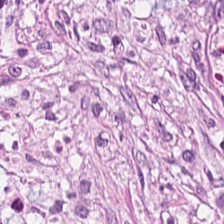H&E-stained tissue section. Q: Classify this patch.
A: The field shows cancer-associated stroma.
